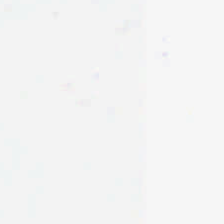This field is background (no tissue).
